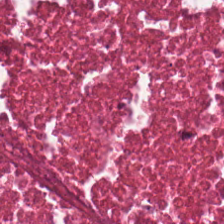Predominantly necrotic debris.
